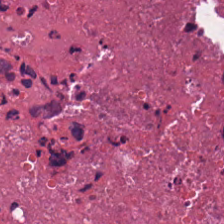H&E-stained tissue section · 20× equivalent magnification. Necrotic debris.
